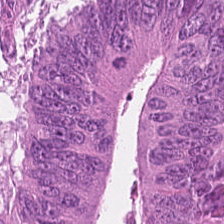Tissue class = colorectal adenocarcinoma epithelium.
